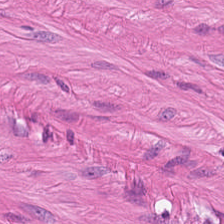The tissue is smooth muscle.
